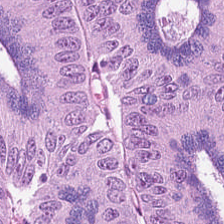H&E.
{"tissue_type": "colorectal adenocarcinoma"}
